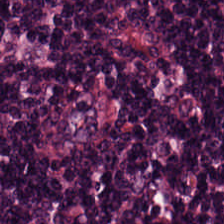H&E patch showing lymphocyte aggregate.
